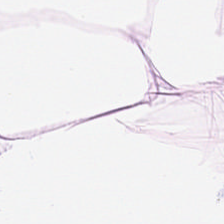Hematoxylin and eosin — Q: Classify this patch.
A: It is adipocytes.
